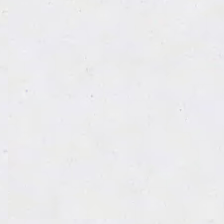224×224 px patch. Hematoxylin-and-eosin stained section. WSI patch. No tissue present; background only.
